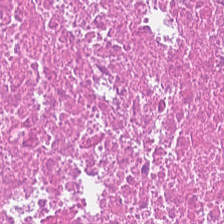Formalin-fixed paraffin-embedded section; H&E stain. Q: Identify the tissue.
A: This is debris.
